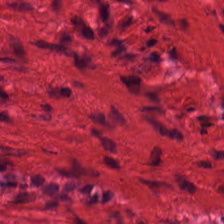224×224 pixel tile; H&E — Predominant tissue = smooth muscle.
